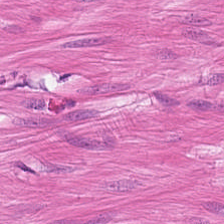Hematoxylin and eosin · whole-slide-image patch · FFPE. This patch shows smooth muscle.
